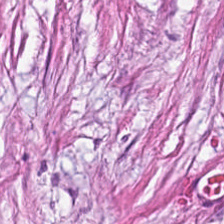H&E stain. 20× equivalent magnification. Formalin-fixed paraffin-embedded section — Classification = tumor-associated stroma.
